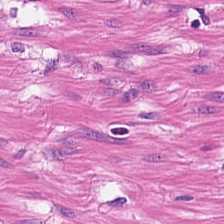The predominant tissue is smooth muscle.
